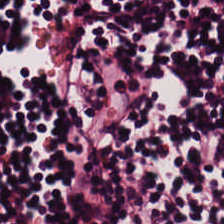Tissue class = lymphocytes.
